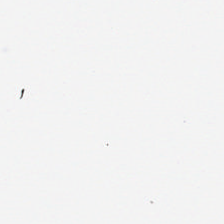Hematoxylin-and-eosin stained section · 0.5 µm per pixel — No tissue present; background only.
